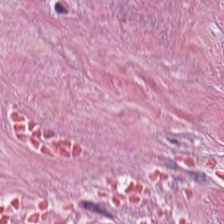Hematoxylin-and-eosin stained section. This patch shows desmoplastic stroma.
